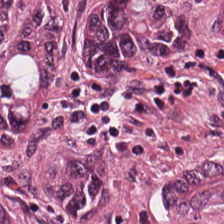Stain: H&E.
Predominant tissue: adenocarcinoma.
